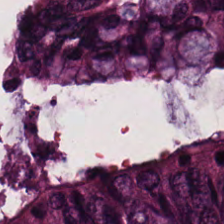H&E-stained tissue section; WSI patch — The tissue is colorectal adenocarcinoma.
